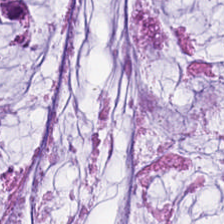Hematoxylin and eosin — This patch shows extracellular mucin.
